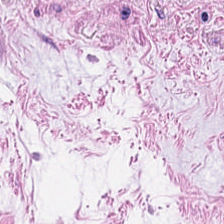H&E patch showing muscularis.
